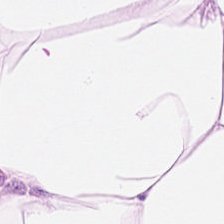H&E-stained tissue section — Histology — adipose.
